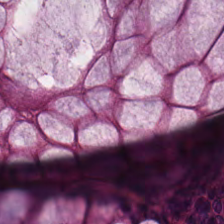Whole-slide-image patch. 224×224 pixel tile. Hematoxylin-and-eosin stained section — Non-neoplastic colon mucosa.
